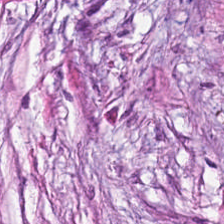Hematoxylin and eosin. Tissue class — cancer-associated stroma.
